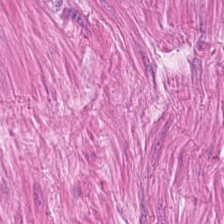H&E stain.
Showing smooth-muscle tissue.
